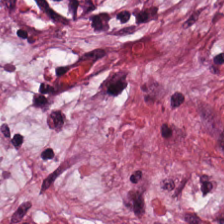Hematoxylin-and-eosin stained section. Showing cancer-associated stroma.
